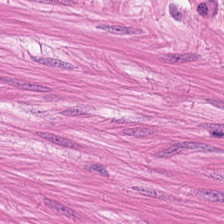Hematoxylin-and-eosin stained section. Predominant tissue — muscularis.
